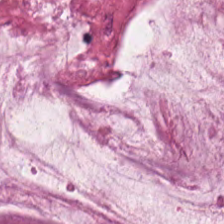H&E stain · 20× equivalent magnification — Extracellular mucin.
